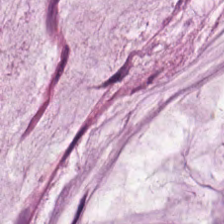Hematoxylin and eosin · 0.5 µm per pixel. Extracellular mucin.
